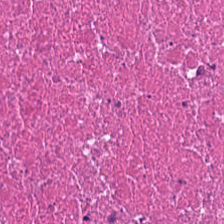0.5 microns per pixel · 224×224 pixel tile · H&E-stained tissue section.
Histology — cellular debris.
